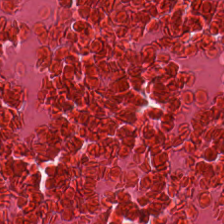Tissue class — cellular debris.
